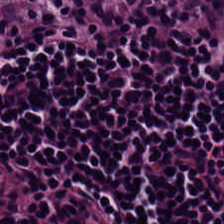Tissue class — lymphocytes.
